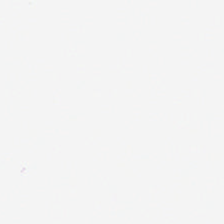20× equivalent magnification; H&E-stained tissue section — Q: Classify this patch.
A: Background (no tissue).
